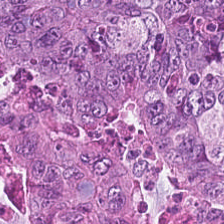H&E-stained section; the field shows colorectal adenocarcinoma epithelium.
